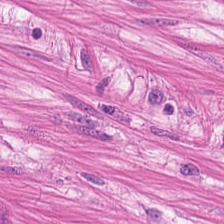H&E stain. {"tissue_type": "smooth muscle"}
